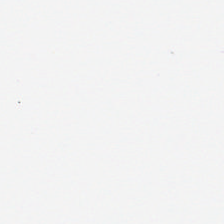0.5 µm per pixel. 224×224 px tile. H&E stain — No tissue present; background only.
